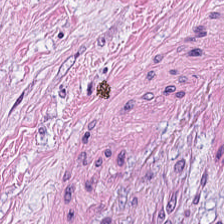Hematoxylin and eosin. Cancer-associated stroma.
